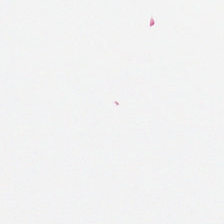The classification is background (no tissue).
